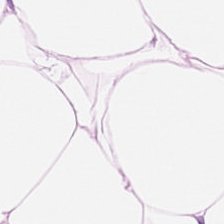Hematoxylin and eosin.
This patch shows adipose tissue.
